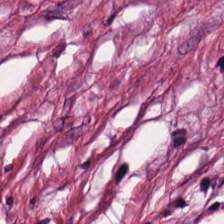H&E-stained tissue section · 224×224 pixel tile.
The tissue class is cancer-associated stroma.
